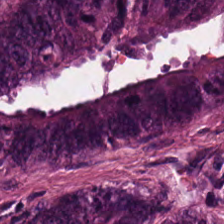H&E. The predominant tissue is tumor epithelium.
